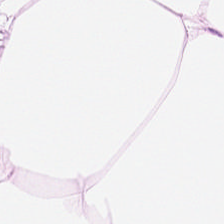H&E stain. Brightfield microscopy. Tissue: adipocytes.
